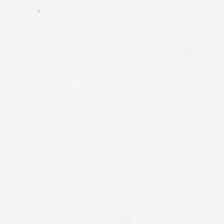FFPE; WSI patch; H&E stain — Empty field — no tissue.
